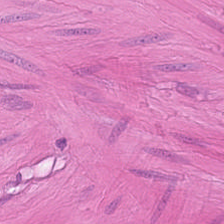H&E · 224×224 px patch · WSI patch. Q: Classify this patch.
A: The field shows smooth-muscle tissue.
